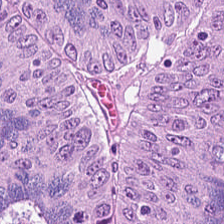FFPE tissue section. Hematoxylin-and-eosin stained section. WSI patch. Predominantly tumor epithelium.
